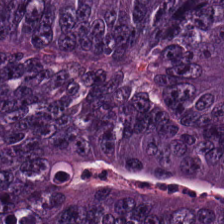H&E. The predominant tissue is tumor epithelium.
